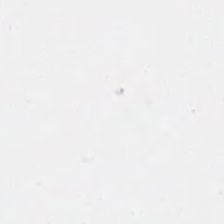Stain: H&E stain.
Content: empty background.
